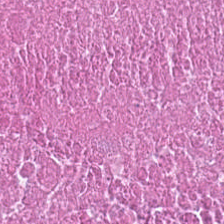Finding — debris.
